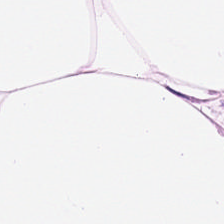Histology → adipocytes.
